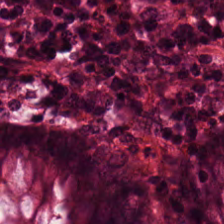Hematoxylin-and-eosin stained section — Predominantly normal colon mucosa.
